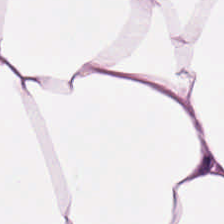Formalin-fixed paraffin-embedded section. Hematoxylin and eosin.
Showing adipose tissue.
